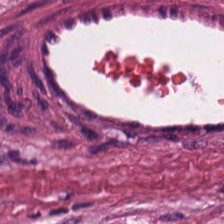224×224 px patch · H&E · 20× equivalent magnification.
Tissue class — tumor stroma.
